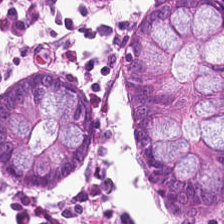H&E stain. Q: What does this patch show?
A: Normal colon mucosa.
